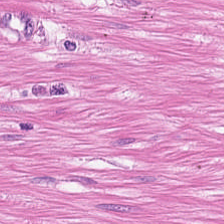Histology → muscularis.
